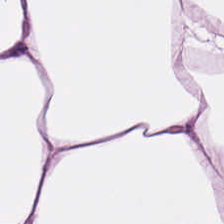Stain: H&E-stained tissue section.
Tissue: adipose.
